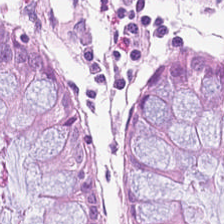H&E · brightfield — Predominant tissue: normal colonic mucosa.
